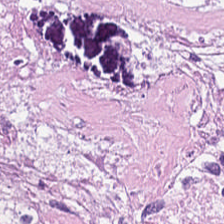Tissue — debris.
